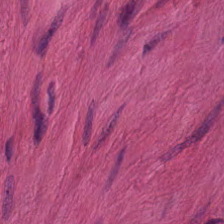Hematoxylin and eosin. The tissue here is muscularis.
